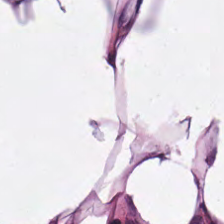H&E stain. Tissue type — adipose.
